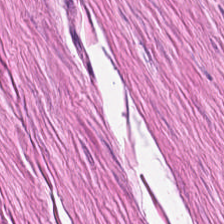H&E. The predominant tissue is muscularis.
